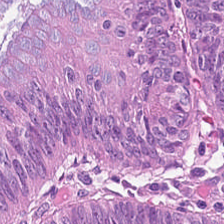Hematoxylin and eosin. Predominantly adenocarcinoma.
